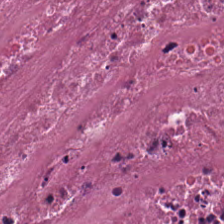Stain: H&E.
Tile size: 224×224 px patch.
Tissue type: debris.
